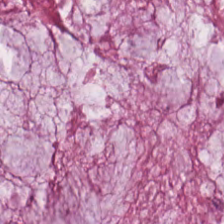Predominant tissue = extracellular mucin.
